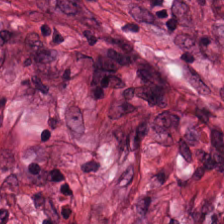0.5 microns per pixel. H&E stain.
This patch shows tumor-associated stroma.
